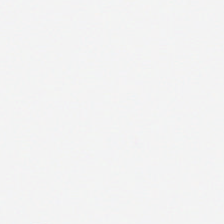Stain: hematoxylin-and-eosin stained section.
Tile size: 224×224 px patch.
Classification: background (no tissue).
